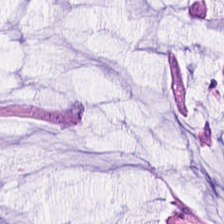Hematoxylin and eosin — Q: What type of tissue is this?
A: Mucus.
